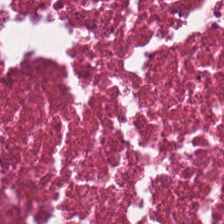H&E stain.
The predominant tissue is cellular debris.
